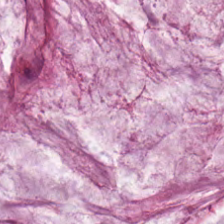Q: Classify this patch.
A: This is mucus.
